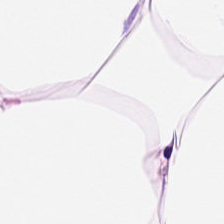Hematoxylin-and-eosin stained section — Classification: adipose tissue.
